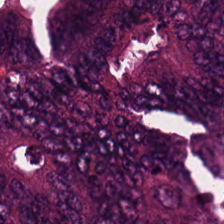224×224 px patch · H&E. The tissue here is malignant epithelium.
